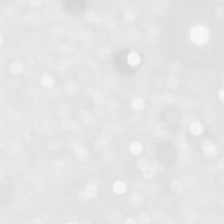Hematoxylin-and-eosin stained section.
{"content": "no tissue"}
